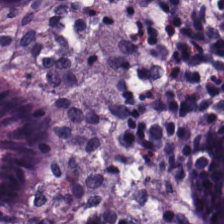Brightfield · hematoxylin and eosin · 20× equivalent magnification. The tissue is normal colonic mucosa.
